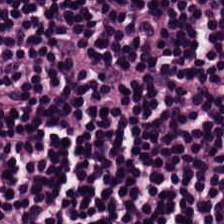H&E-stained tissue section.
Lymphoid infiltrate.
